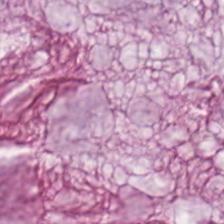Q: What is shown here?
A: The field shows extracellular mucin.
